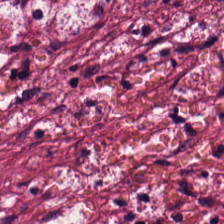224×224 pixel tile. H&E — Q: What tissue type is shown here?
A: It is cancer-associated stroma.
